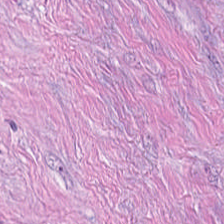H&E-stained tissue section. 0.5 µm/px — The tissue here is tumor-associated stroma.
